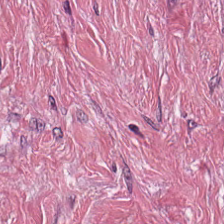WSI patch. 224×224 px patch. Hematoxylin-and-eosin stained section — Q: What is the predominant tissue type?
A: The field shows tumor stroma.
